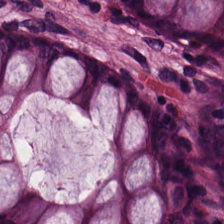Q: What type of tissue is this?
A: It is non-neoplastic colon mucosa.
